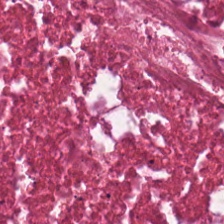Hematoxylin and eosin. FFPE tissue section. Whole-slide-image patch.
Debris.
